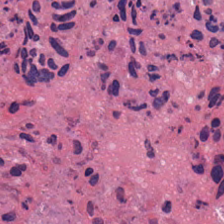H&E. {"tissue_type": "debris"}
